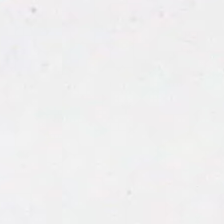20× equivalent magnification · 224×224 px patch · H&E — This field is background (no tissue).
